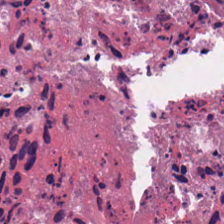H&E · WSI patch · 0.5 µm per pixel — Q: What does this patch show?
A: Necrotic debris.
